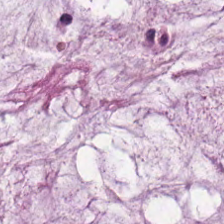Stain: H&E stain.
Acquisition: brightfield.
Preparation: FFPE tissue section.
Tissue class: extracellular mucin.
